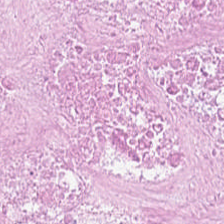The predominant tissue is cellular debris.
